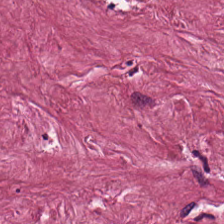H&E-stained tissue section showing cancer-associated stroma.
